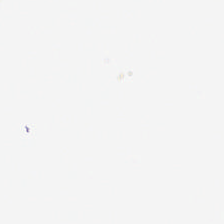Hematoxylin-and-eosin stained section — This field is background (no tissue).
